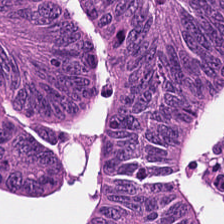FFPE · brightfield · H&E — This field is colorectal adenocarcinoma.
